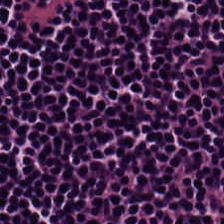Stain: H&E stain.
Tissue type: lymphocyte aggregate.
